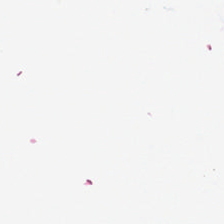H&E. No tissue present; background only.
